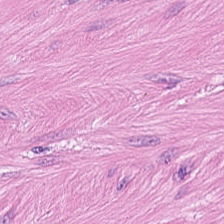H&E stain. Tissue class — smooth-muscle tissue.
